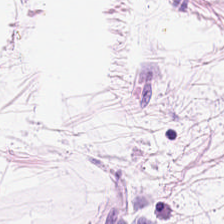Hematoxylin-and-eosin stained section — Tissue — adipose tissue.
